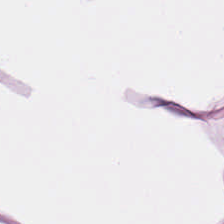Hematoxylin and eosin. Adipose.
